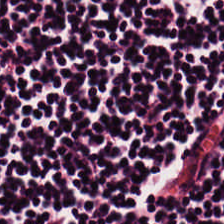Impression → lymphocytic infiltrate.
